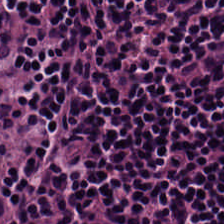H&E-stained tissue section. Q: What type of tissue is this?
A: The field shows lymphocytes.
